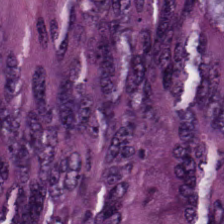H&E. 224×224 pixel tile. Formalin-fixed paraffin-embedded section — Colorectal adenocarcinoma epithelium.
